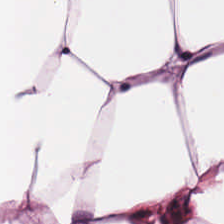H&E stain; FFPE — Predominant tissue — fat tissue.
